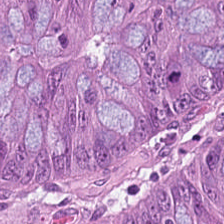Hematoxylin and eosin — Colorectal adenocarcinoma.
